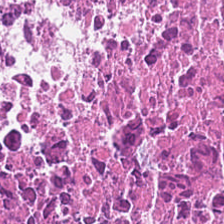H&E stain.
Histology — debris.
